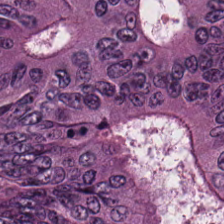H&E-stained tissue section.
This patch shows colorectal adenocarcinoma epithelium.
